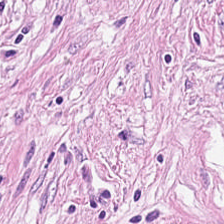H&E stain — Q: What does this patch show?
A: Cancer-associated stroma.
